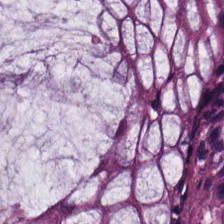Stain: hematoxylin and eosin.
Acquisition: brightfield microscopy.
Tissue type: benign colonic mucosa.
